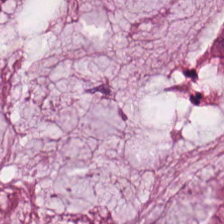H&E stain — {"tissue_type": "mucin"}
